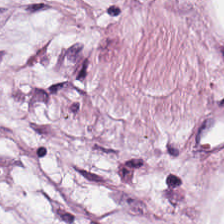224×224 pixel tile · H&E stain · formalin-fixed paraffin-embedded section.
Predominantly fat tissue.
